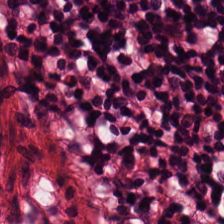H&E; 224×224 pixel tile. Showing lymphoid infiltrate.
